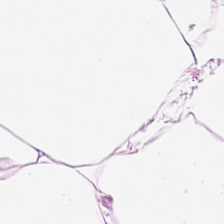H&E stain.
Classification: fat tissue.
